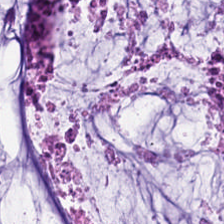0.5 µm per pixel. WSI patch. Hematoxylin-and-eosin stained section — Q: Identify the tissue.
A: This is mucus.
